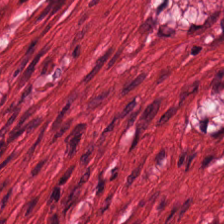Hematoxylin-and-eosin stained section; 0.5 µm/px.
This field is smooth-muscle tissue.
